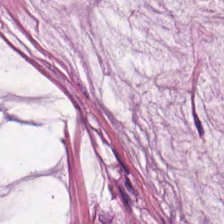Q: Classify this patch.
A: Extracellular mucin.
